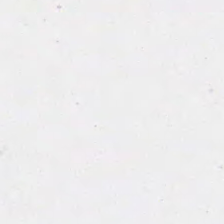Hematoxylin-and-eosin stained section. Empty field — empty background.
